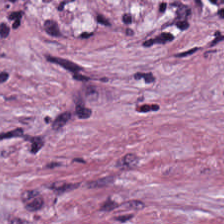Brightfield. 20× equivalent magnification. Hematoxylin and eosin — Tissue — cancer-associated stroma.
